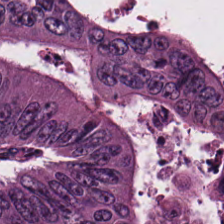Hematoxylin-and-eosin stained section; FFPE tissue section.
Histology — colorectal adenocarcinoma.
